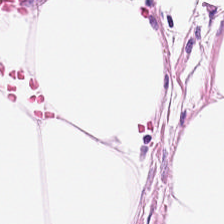224×224 pixel tile; 20× equivalent magnification; H&E — The classification is adipose tissue.
